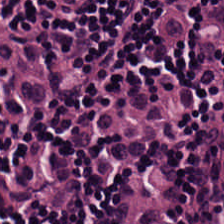H&E stain. Predominantly lymphocytes.
